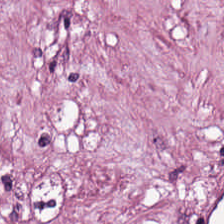Hematoxylin-and-eosin stained section — This field is tumor-associated stroma.
